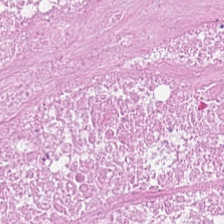H&E · FFPE tissue section · 0.5 microns per pixel. This field is cellular debris.
